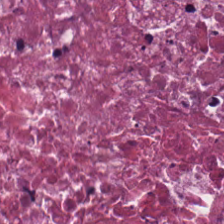H&E-stained tissue section. 224×224 pixel tile.
Q: Identify the tissue.
A: It is cellular debris.
